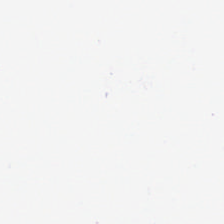H&E stain — Empty field — no tissue.
